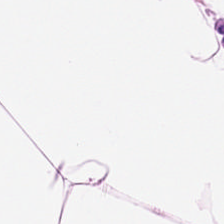0.5 µm/px · formalin-fixed paraffin-embedded section · hematoxylin-and-eosin stained section.
{"tissue_type": "adipose tissue"}
